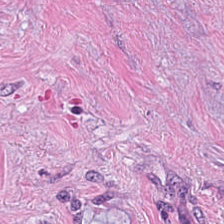Finding → desmoplastic stroma.
